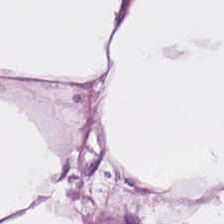Q: What tissue type is shown here?
A: The field shows adipocytes.
